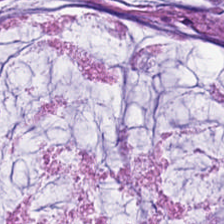224×224 px patch. Hematoxylin and eosin.
Finding — mucus.
